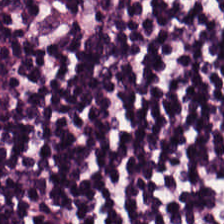Formalin-fixed paraffin-embedded section. H&E stain. 224×224 pixel tile. {"tissue_type": "lymphoid infiltrate"}
